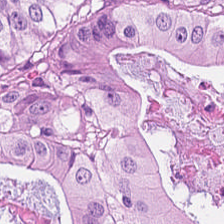H&E. 224×224 px patch.
Showing adenocarcinoma.
